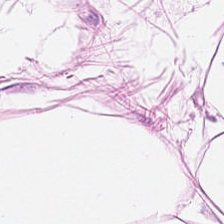Histology → adipose.
